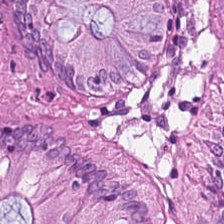WSI patch. H&E. The predominant tissue is non-neoplastic colon mucosa.
